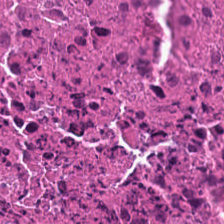Q: What is shown here?
A: Cellular debris.
